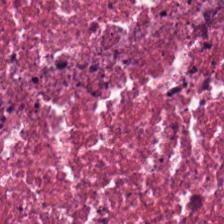H&E-stained tissue section.
Q: What type of tissue is this?
A: It is cellular debris.
